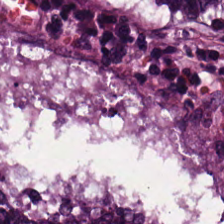Hematoxylin-and-eosin stained section — Impression — colorectal adenocarcinoma epithelium.
